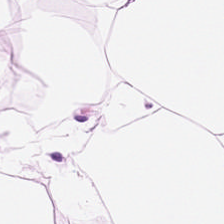Fat tissue.
